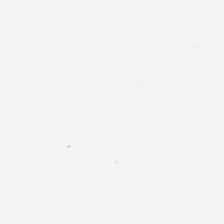0.5 µm/px. H&E stain.
The content is empty background.
